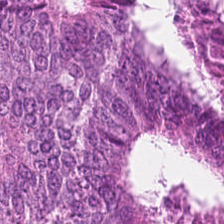20× equivalent magnification; H&E stain.
The tissue type is adenocarcinoma.
